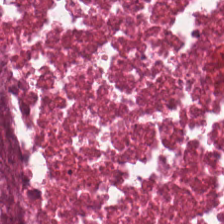Hematoxylin-and-eosin stained section. Formalin-fixed paraffin-embedded section — Q: What is shown here?
A: Debris.
